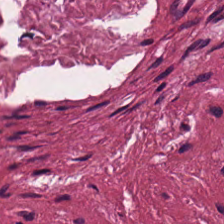H&E · 224×224 px tile.
Q: Identify the tissue.
A: It is tumor stroma.
